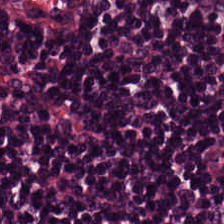H&E-stained tissue section.
Q: Identify the tissue.
A: The field shows lymphocytic infiltrate.
